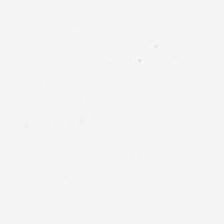H&E · 224×224 px tile · 0.5 microns per pixel.
Q: What is shown here?
A: This is no tissue.
